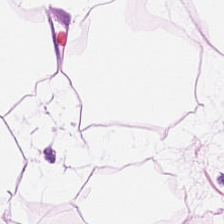H&E stain · FFPE — This patch shows fat tissue.
